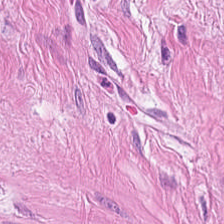Impression → muscularis.
